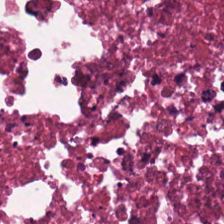Stain: hematoxylin-and-eosin stained section.
Preparation: FFPE.
Tile size: 224×224 px patch.
Classification: necrotic debris.
